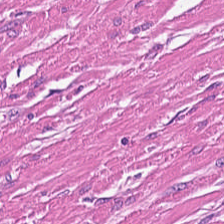H&E patch showing smooth-muscle tissue.
